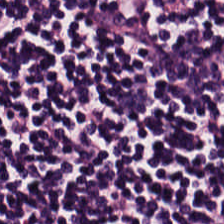H&E-stained section; the field shows lymphocytic infiltrate.
